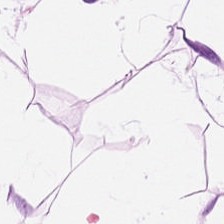H&E; formalin-fixed paraffin-embedded section; brightfield microscopy. Histology — adipocytes.
